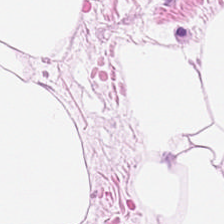H&E-stained tissue section · 0.5 µm per pixel.
The tissue class is adipocytes.
